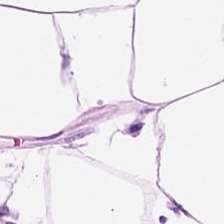224×224 px patch. 0.5 microns per pixel. Hematoxylin-and-eosin stained section. The tissue class is adipose tissue.
